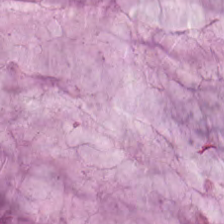Stain: H&E-stained tissue section.
Tissue: mucus.
